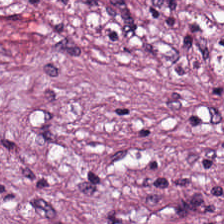Hematoxylin and eosin. Tissue = tumor-associated stroma.
